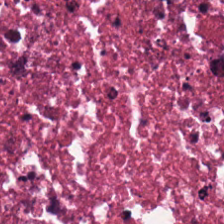Hematoxylin and eosin. Histology — debris.
